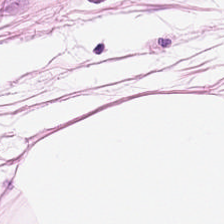Hematoxylin-and-eosin stained section. This field is adipocytes.
